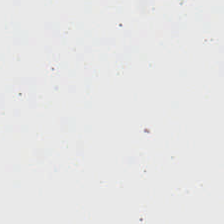Hematoxylin and eosin — Empty field — no tissue.
